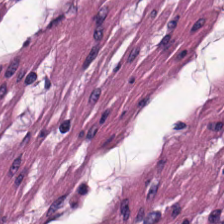Showing smooth muscle.
